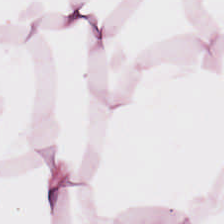Stain: H&E.
Tissue: fat tissue.
